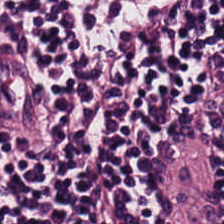H&E.
{"tissue_type": "lymphoid infiltrate"}
